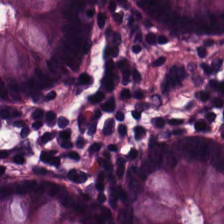Hematoxylin-and-eosin stained section. The predominant tissue is benign colonic mucosa.
